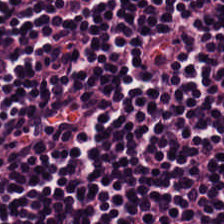{"tissue_type": "lymphoid infiltrate"}
